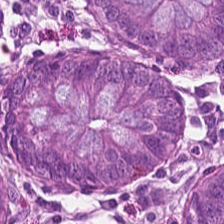Whole-slide-image patch. H&E stain.
Showing normal colon mucosa.
